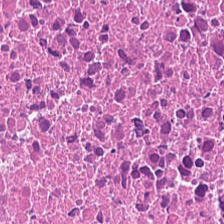H&E stain; 20× equivalent magnification.
This field is cellular debris.
